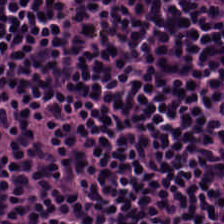Hematoxylin and eosin.
Histology — lymphocytic infiltrate.
